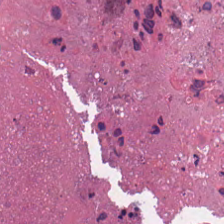H&E stain.
Cellular debris.
